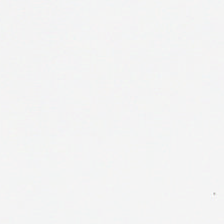Brightfield microscopy; hematoxylin and eosin; 0.5 microns per pixel.
This field is background (no tissue).
